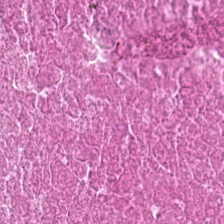H&E stain · 224×224 px patch.
Histology — cellular debris.
